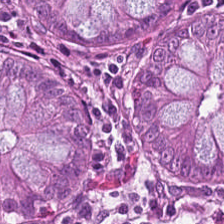Stain: hematoxylin and eosin.
Tissue: normal colonic mucosa.
